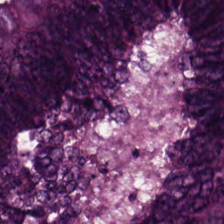H&E-stained tissue section.
Malignant epithelium.
